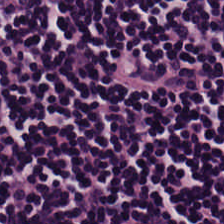Hematoxylin-and-eosin stained section. The tissue here is lymphocytic infiltrate.
